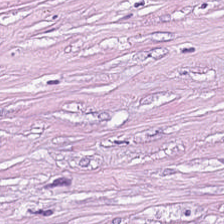H&E. Histology → desmoplastic stroma.
